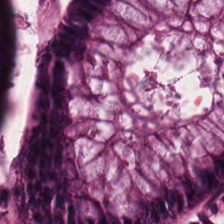H&E stain.
Tissue type: non-neoplastic colon mucosa.
